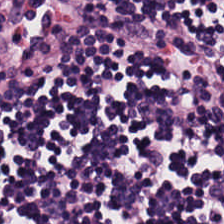Hematoxylin-and-eosin stained section; 224×224 pixel tile; FFPE tissue section — Showing lymphoid infiltrate.
